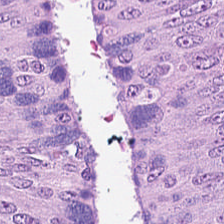H&E stain — Predominant tissue: adenocarcinoma.
